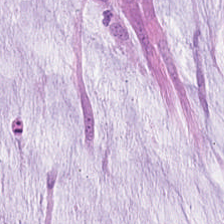H&E patch showing mucin.
